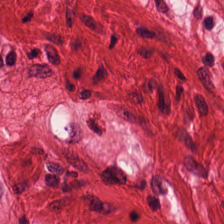Impression — smooth muscle.
